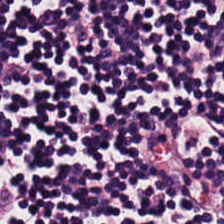H&E patch showing lymphocyte aggregate.
